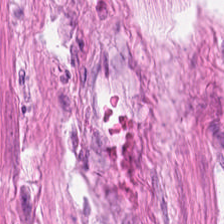Hematoxylin and eosin · WSI patch · 0.5 µm per pixel.
Finding → smooth-muscle tissue.
